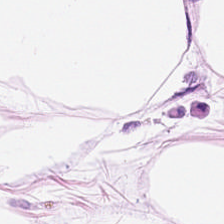Hematoxylin and eosin. 224×224 px patch — This patch shows adipose tissue.
